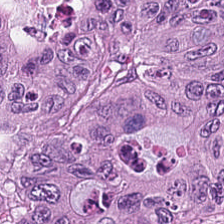Q: What type of tissue is this?
A: The field shows tumor epithelium.
